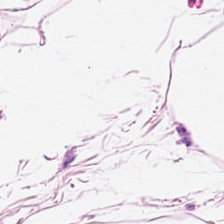H&E stain — Q: Classify this patch.
A: It is adipose tissue.
